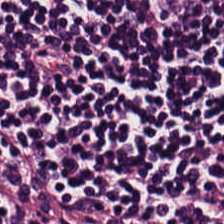Hematoxylin-and-eosin stained section.
Finding — lymphocyte aggregate.
